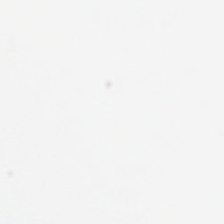Empty field — no tissue.
